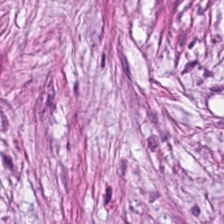Whole-slide-image patch. H&E stain. Histology — desmoplastic stroma.
